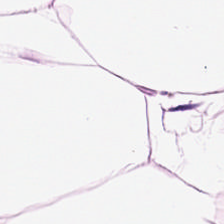Hematoxylin and eosin.
Predominant tissue = fat tissue.
